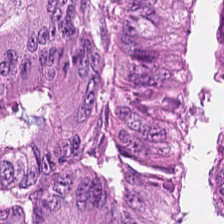Impression → colorectal adenocarcinoma.
